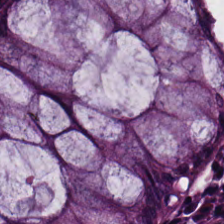Stain: H&E-stained tissue section.
Predominant tissue: benign colonic mucosa.
